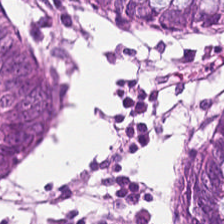Hematoxylin and eosin.
Q: What tissue is shown?
A: Non-neoplastic colon mucosa.
